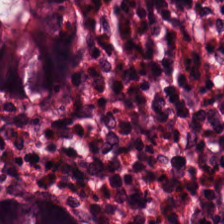Hematoxylin and eosin; FFPE tissue section; 224×224 px patch — Predominantly normal colonic mucosa.
